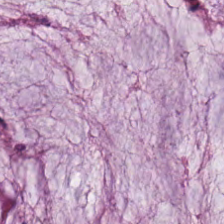Brightfield microscopy · H&E-stained tissue section.
Histology → mucin.
